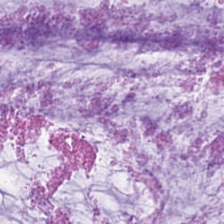Finding — mucin.
